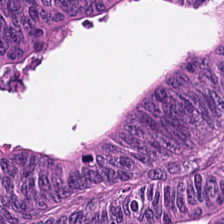Hematoxylin-and-eosin stained section. Histology — malignant epithelium.
